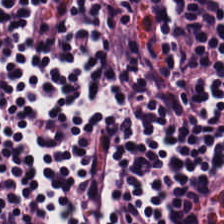Hematoxylin and eosin · 0.5 µm per pixel · WSI patch — Predominantly lymphocytic infiltrate.
